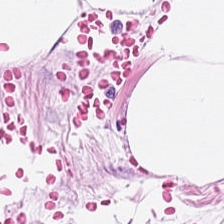Stain: H&E-stained tissue section.
Tissue type: adipose tissue.
